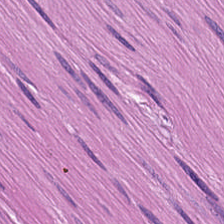Stain: H&E stain.
Tissue class: smooth muscle.
